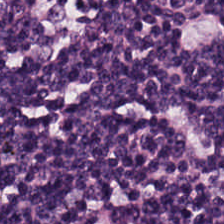Predominantly lymphoid infiltrate.
